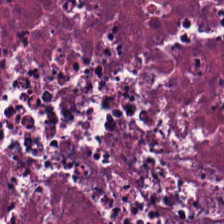Stain: H&E stain.
Tissue type: necrotic debris.
